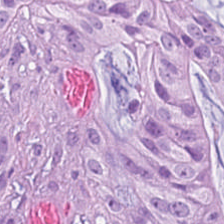20× equivalent magnification · H&E-stained tissue section · 224×224 pixel tile.
{"tissue_type": "colorectal adenocarcinoma"}
